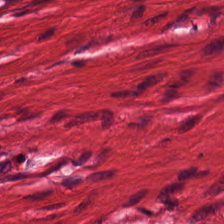H&E-stained tissue section; formalin-fixed paraffin-embedded section; brightfield.
Predominantly muscularis.
